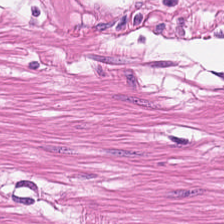This field is muscularis.
